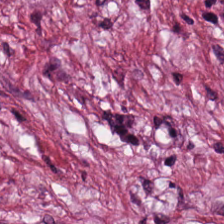Hematoxylin-and-eosin stained section · 224×224 pixel tile. Histology → cancer-associated stroma.
